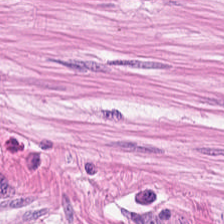H&E. 0.5 microns per pixel. This field is smooth-muscle tissue.
